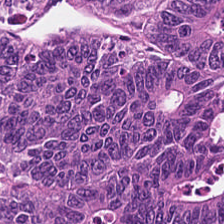H&E; formalin-fixed paraffin-embedded section. Classification = colorectal adenocarcinoma epithelium.
